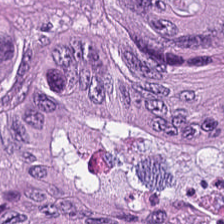FFPE · hematoxylin-and-eosin stained section. {"tissue_type": "tumor epithelium"}
